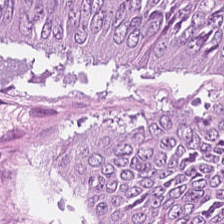H&E. Colorectal adenocarcinoma.
